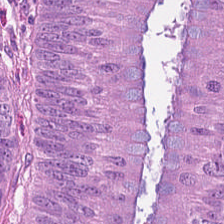Stain: H&E-stained tissue section.
Tissue class: colorectal adenocarcinoma.
